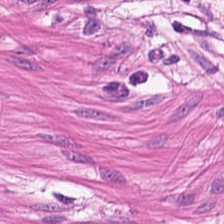Stain: H&E-stained tissue section.
Tissue type: smooth muscle.
